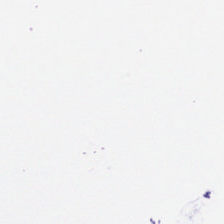Stain: H&E-stained tissue section.
Content: empty background.
